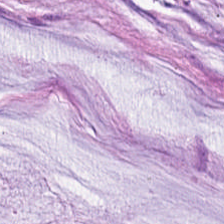Hematoxylin and eosin.
Tissue class: mucin.
